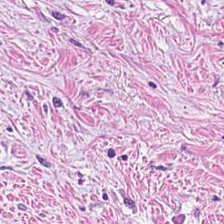Formalin-fixed paraffin-embedded section. H&E-stained tissue section — Q: Identify the tissue.
A: Cancer-associated stroma.
